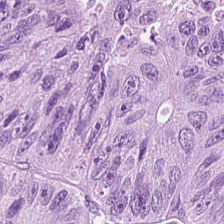H&E stain · 224×224 px tile · 20× equivalent magnification.
Colorectal adenocarcinoma epithelium.
